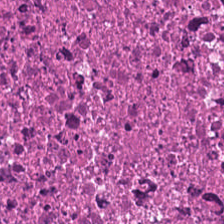Hematoxylin-and-eosin section: necrotic debris.
